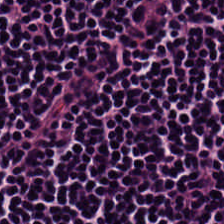Hematoxylin and eosin; 20× equivalent magnification. The predominant tissue is lymphocyte aggregate.
